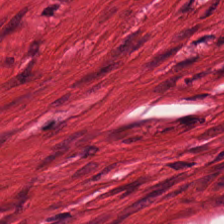Stain: hematoxylin and eosin.
Tissue: muscularis.
